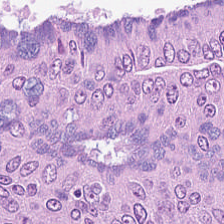Predominantly colorectal adenocarcinoma.
